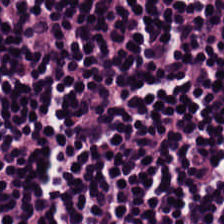FFPE tissue section; 0.5 microns per pixel; hematoxylin-and-eosin stained section — This field is lymphoid infiltrate.
